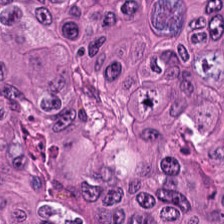Q: Identify the tissue.
A: This is malignant epithelium.
